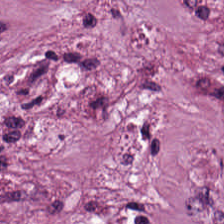H&E-stained tissue section.
Q: What tissue is shown?
A: Cancer-associated stroma.
